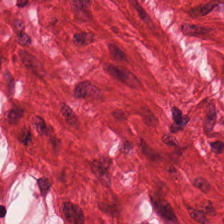Hematoxylin and eosin.
The predominant tissue is smooth muscle.
